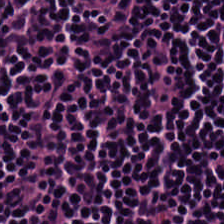224×224 px tile; hematoxylin-and-eosin stained section. Tissue class — lymphocyte aggregate.
